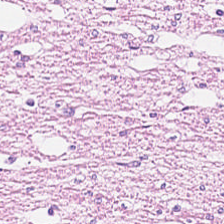H&E-stained tissue section — Showing smooth muscle.
